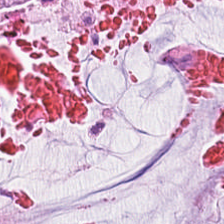Hematoxylin-and-eosin stained section — Q: Classify this patch.
A: Extracellular mucin.
